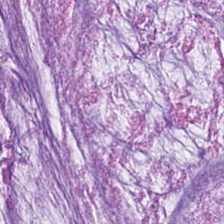Tissue class — mucus.
